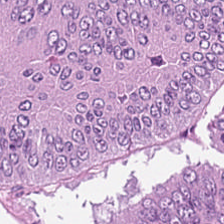Stain: H&E stain.
Tissue class: adenocarcinoma.
